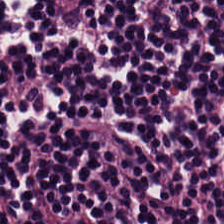Showing lymphoid infiltrate.
